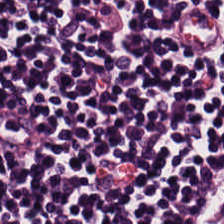20× equivalent magnification. H&E stain — {"tissue_type": "lymphocytic infiltrate"}
